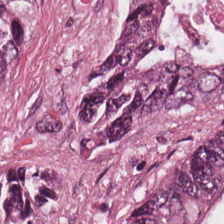H&E stain.
Impression → tumor epithelium.
